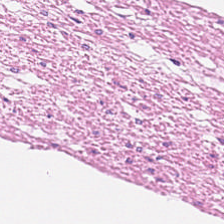WSI patch. Hematoxylin-and-eosin stained section. 224×224 pixel tile — Q: What is shown in this field?
A: It is muscularis.
